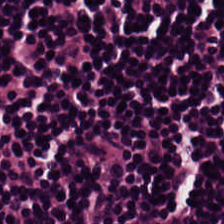This field is lymphocytic infiltrate.
